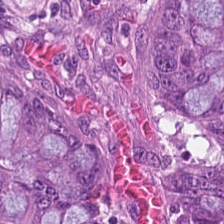The tissue here is malignant epithelium.
